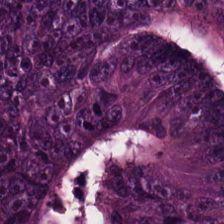FFPE tissue section. H&E stain. Tissue class: colorectal adenocarcinoma.
